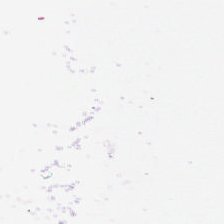Content = no tissue.
